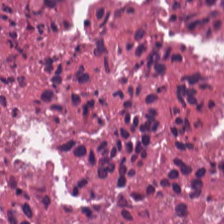Hematoxylin-and-eosin stained section · 224×224 px tile.
Predominant tissue: cellular debris.
